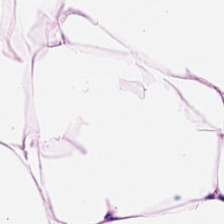Stain: hematoxylin and eosin.
Classification: adipocytes.
